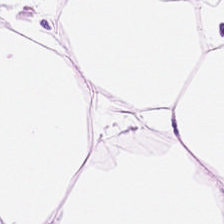H&E-stained tissue section. 224×224 pixel tile. 0.5 µm per pixel — {"tissue_type": "fat tissue"}
